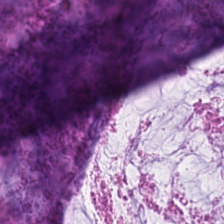Q: What is shown here?
A: It is mucin.
